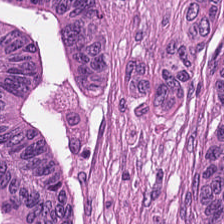Stain: H&E.
Preparation: FFPE tissue section.
Tissue class: adenocarcinoma.
